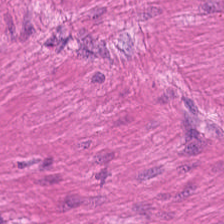Hematoxylin-and-eosin stained section. 0.5 µm per pixel. Formalin-fixed paraffin-embedded section. Showing muscularis.
